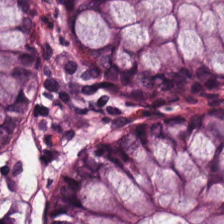H&E stain; 224×224 px tile.
This field is normal colon mucosa.
